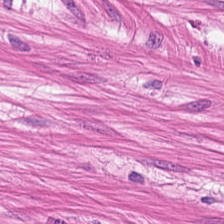Stain: hematoxylin and eosin.
Acquisition: brightfield microscopy.
Resolution: 0.5 µm per pixel.
Predominant tissue: smooth-muscle tissue.
